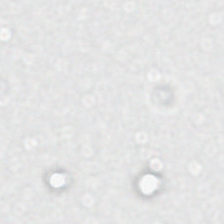This field is background (no tissue).
